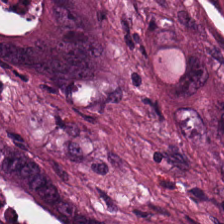224×224 pixel tile; H&E-stained tissue section. Finding — colorectal adenocarcinoma.
